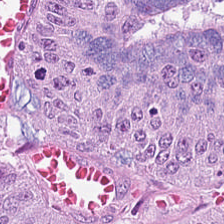H&E stain — Q: What tissue is shown?
A: It is adenocarcinoma.
